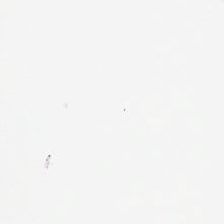Brightfield microscopy; H&E stain.
{"content": "background"}
